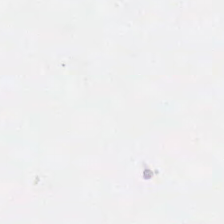H&E-stained tissue section — Empty field — background (no tissue).
